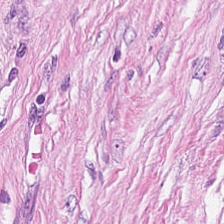H&E stain — Q: Classify this patch.
A: Cancer-associated stroma.
